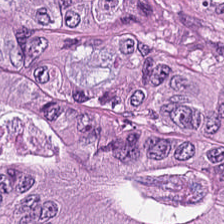H&E; brightfield microscopy.
Tissue type = malignant epithelium.
